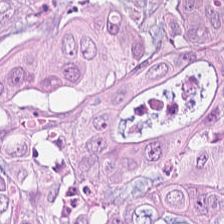Stain: H&E.
Preparation: FFPE tissue section.
Tile size: 224×224 px tile.
Tissue class: colorectal adenocarcinoma.
